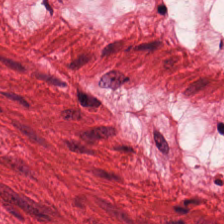224×224 px patch. Hematoxylin-and-eosin stained section. This patch shows smooth-muscle tissue.
